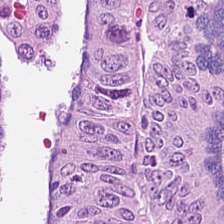Hematoxylin-and-eosin stained section — This patch shows tumor epithelium.
